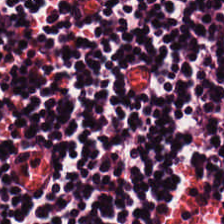224×224 px tile · H&E — The tissue here is lymphocytic infiltrate.
